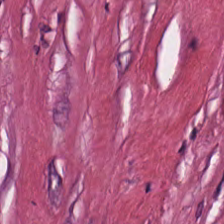Impression → tumor stroma.
